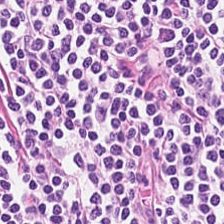H&E-stained tissue section · formalin-fixed paraffin-embedded section · 224×224 px patch. The predominant tissue is lymphoid infiltrate.
